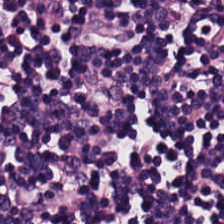Hematoxylin-and-eosin stained section. Lymphocyte aggregate.
